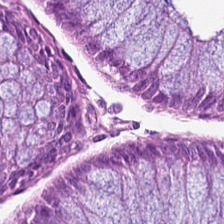0.5 microns per pixel. FFPE tissue section. Hematoxylin-and-eosin stained section. The predominant tissue is non-neoplastic colon mucosa.
